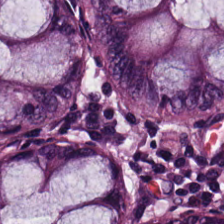H&E stain — Predominant tissue = normal colon mucosa.
